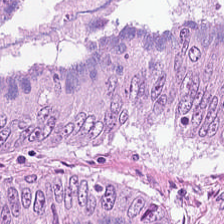Hematoxylin and eosin.
The predominant tissue is colorectal adenocarcinoma.
